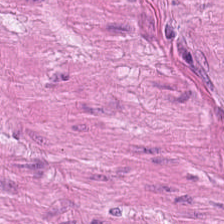H&E-stained tissue section.
This patch shows smooth muscle.
